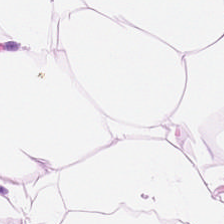Stain: H&E.
Tissue class: adipose.
